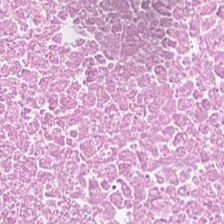Hematoxylin-and-eosin stained section · FFPE tissue section — Q: What does this patch show?
A: It is cellular debris.
